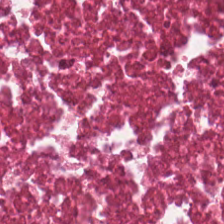Stain: hematoxylin and eosin.
Tissue: cellular debris.
